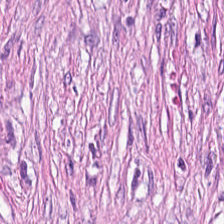Hematoxylin-and-eosin stained section. 224×224 px tile. 0.5 microns per pixel. Q: What is the predominant tissue type?
A: This is tumor-associated stroma.
